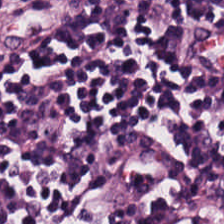H&E · 224×224 pixel tile.
The tissue here is lymphocyte aggregate.
